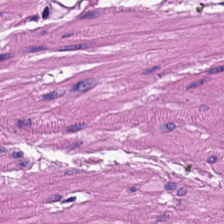Whole-slide-image patch; formalin-fixed paraffin-embedded section; H&E stain.
Impression → muscularis.
